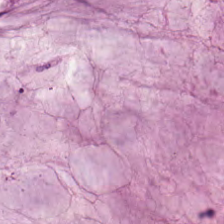Stain: H&E-stained tissue section.
Classification: mucus.
